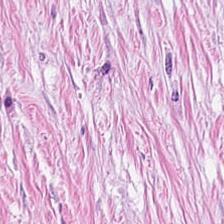Stain: H&E.
Classification: desmoplastic stroma.
